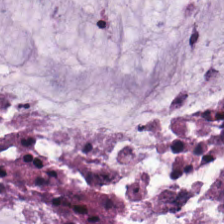Hematoxylin-and-eosin stained section; 0.5 µm/px.
Q: What is the predominant tissue type?
A: It is mucin.
